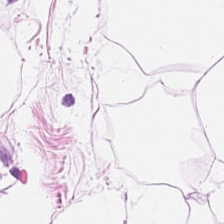Hematoxylin-and-eosin stained section. Brightfield microscopy — Predominantly adipose.
